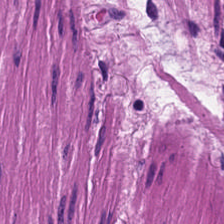224×224 pixel tile · H&E-stained tissue section · brightfield microscopy — Predominantly muscularis.
